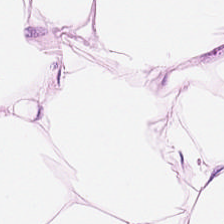Stain: hematoxylin-and-eosin stained section.
Classification: adipose.
